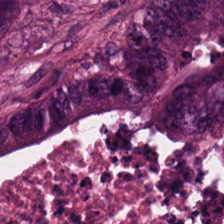Showing malignant epithelium.
